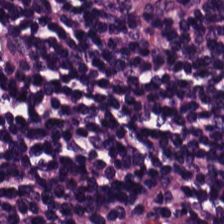H&E-stained tissue section. The tissue type is lymphocyte aggregate.
